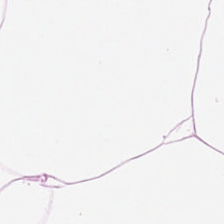224×224 px patch; H&E stain; FFPE — Fat tissue.
